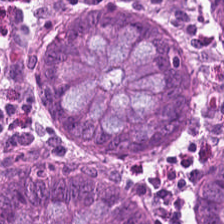H&E · 0.5 µm/px. Tissue = non-neoplastic colon mucosa.
